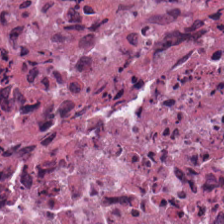Hematoxylin and eosin; 20× equivalent magnification — This patch shows necrotic debris.
